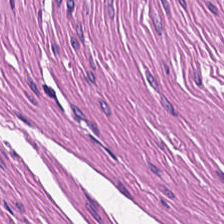H&E stain — This field is smooth-muscle tissue.
